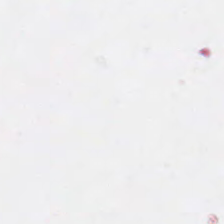H&E-stained tissue section — {"content": "background"}
